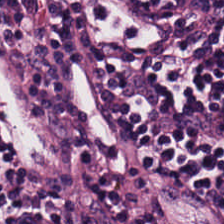Stain: hematoxylin and eosin.
Classification: lymphocyte aggregate.
